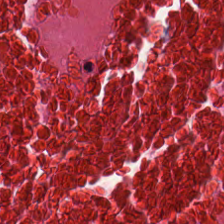H&E-stained tissue section. Tissue — debris.
